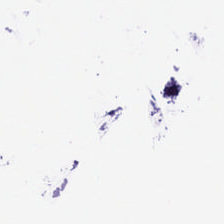H&E stain. 224×224 px tile — This field is background (no tissue).
